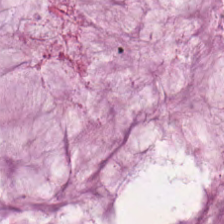The predominant tissue is mucus.
